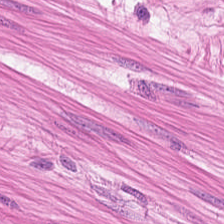Hematoxylin and eosin.
This field is smooth muscle.
